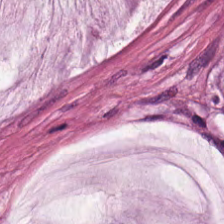Brightfield; H&E-stained tissue section; 20× equivalent magnification.
Mucus.
